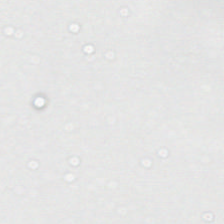H&E-stained tissue section · FFPE.
Classification = no tissue.
